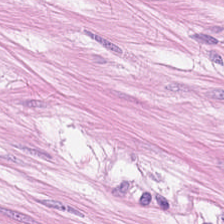Stain: hematoxylin-and-eosin stained section.
Classification: muscularis.
